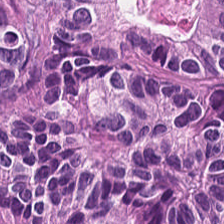{"tissue_type": "colorectal adenocarcinoma"}
